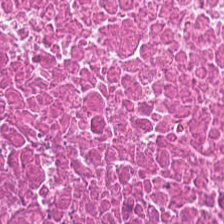Stain: hematoxylin and eosin.
Resolution: 0.5 µm/px.
Tile size: 224×224 px patch.
Tissue type: cellular debris.
